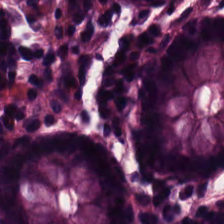224×224 pixel tile; hematoxylin-and-eosin stained section; WSI patch.
The tissue here is normal colon mucosa.
